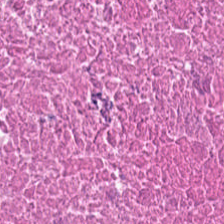Stain: H&E stain.
Predominant tissue: cellular debris.
